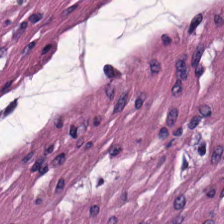FFPE tissue section. Hematoxylin-and-eosin stained section — Q: Classify this patch.
A: The field shows smooth muscle.
